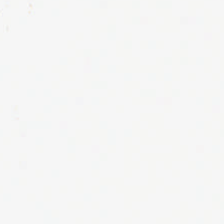224×224 px patch; hematoxylin and eosin.
This patch shows empty background.
